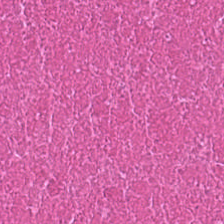Stain: H&E-stained tissue section.
Preparation: FFPE.
Tile size: 224×224 px tile.
Classification: cellular debris.
